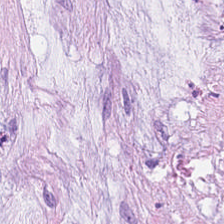0.5 µm/px. 224×224 pixel tile. H&E. Tissue type — extracellular mucin.
